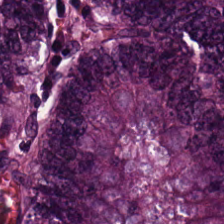Stain: H&E stain.
Preparation: formalin-fixed paraffin-embedded section.
Acquisition: brightfield.
Tissue class: malignant epithelium.
